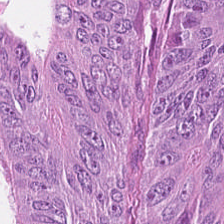Stain: hematoxylin and eosin.
Preparation: FFPE.
Tissue type: colorectal adenocarcinoma epithelium.
